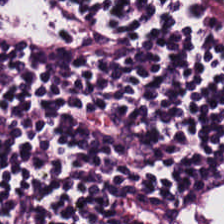Hematoxylin-and-eosin stained section; WSI patch. This field is lymphocytic infiltrate.
